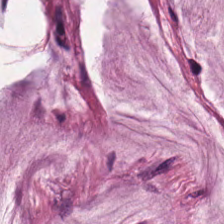FFPE. H&E-stained tissue section.
Predominantly mucus.
